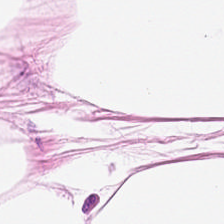Q: What tissue type is shown here?
A: Adipocytes.
